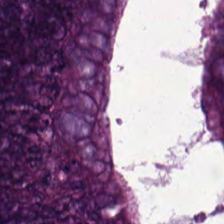0.5 µm/px; H&E-stained tissue section.
This field is malignant epithelium.
